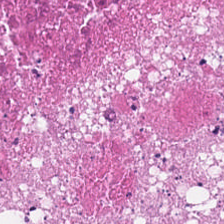H&E-stained tissue section showing debris.
